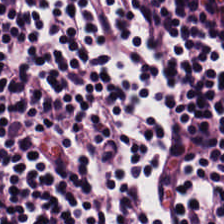H&E; 0.5 µm/px.
Q: What type of tissue is this?
A: Lymphocyte aggregate.
